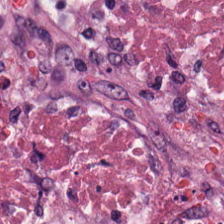Q: What is shown here?
A: Necrotic debris.
